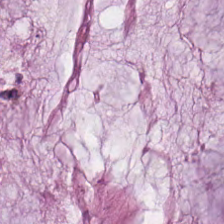Q: Classify this patch.
A: The field shows mucus.
